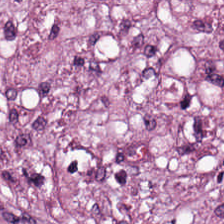H&E — desmoplastic stroma.
